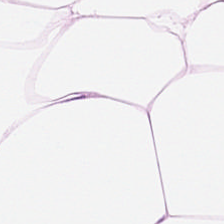Fat tissue.
